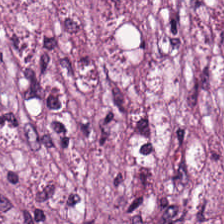H&E — This field is desmoplastic stroma.
